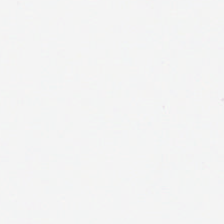H&E-stained tissue section. The field content is background.
